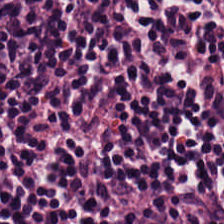H&E-stained tissue section; FFPE tissue section — The predominant tissue is lymphocytic infiltrate.
